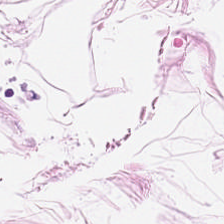Hematoxylin and eosin. Predominantly adipose.
